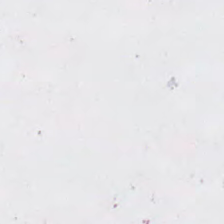Stain: hematoxylin-and-eosin stained section.
Acquisition: whole-slide-image patch.
Classification: empty background.
